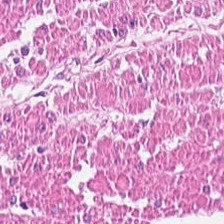Formalin-fixed paraffin-embedded section · hematoxylin-and-eosin stained section — Tissue: muscularis.
